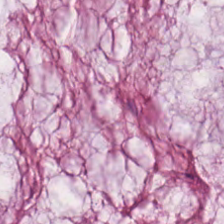20× equivalent magnification. H&E stain. Impression → extracellular mucin.
